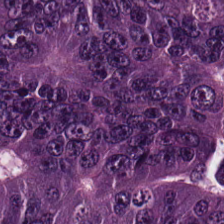0.5 microns per pixel · H&E-stained tissue section.
Q: What tissue type is shown here?
A: This is adenocarcinoma.
